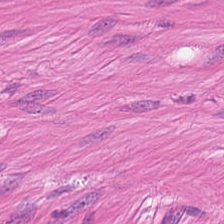Stain: H&E stain.
Tissue type: muscularis.
